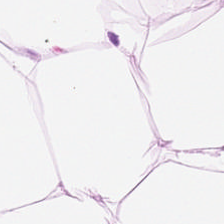Finding → adipose.
